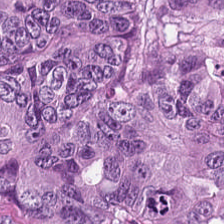{"tissue_type": "malignant epithelium"}
